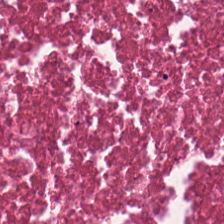H&E stain; 224×224 px tile — Histology → cellular debris.
